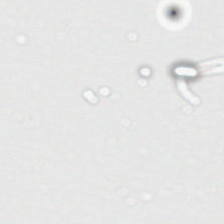224×224 px tile; hematoxylin-and-eosin stained section — This patch shows background.
